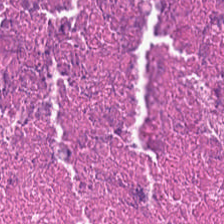H&E patch showing necrotic debris.
